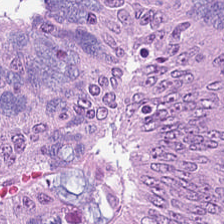Hematoxylin-and-eosin stained section. 20× equivalent magnification.
{"tissue_type": "malignant epithelium"}
